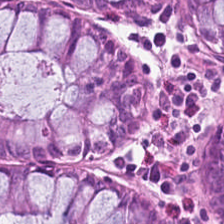Hematoxylin-and-eosin stained section. FFPE tissue section. This field is benign colonic mucosa.
